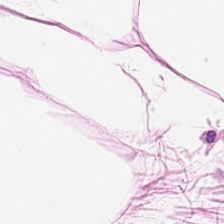Stain: hematoxylin-and-eosin stained section.
Predominant tissue: adipose tissue.
